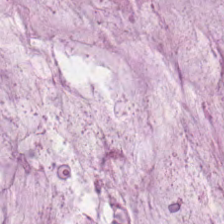H&E stain. Q: What tissue type is shown here?
A: The field shows mucus.
